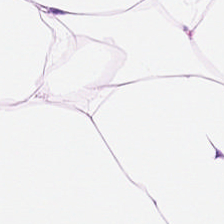Q: What is the predominant tissue type?
A: This is fat tissue.
